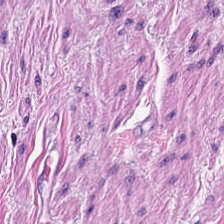Hematoxylin-and-eosin stained section.
Smooth-muscle tissue.
